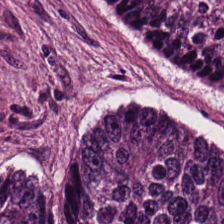20× equivalent magnification. Hematoxylin-and-eosin stained section. FFPE tissue section.
The predominant tissue is malignant epithelium.
